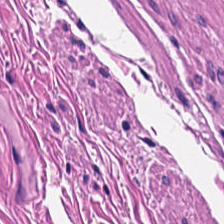H&E; 224×224 pixel tile.
{"tissue_type": "smooth muscle"}
